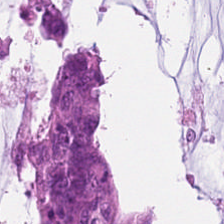Stain: H&E-stained tissue section.
Tile size: 224×224 px tile.
Preparation: formalin-fixed paraffin-embedded section.
Tissue class: mucus.
